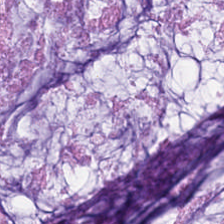0.5 µm per pixel · hematoxylin-and-eosin stained section · formalin-fixed paraffin-embedded section — This patch shows mucin.
